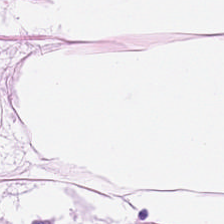Adipose tissue.
